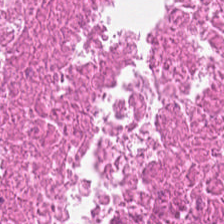0.5 microns per pixel. Hematoxylin and eosin. FFPE. Q: Identify the tissue.
A: The field shows debris.
